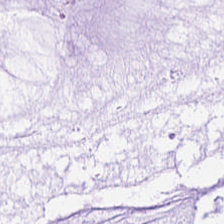Hematoxylin-and-eosin stained section — {"tissue_type": "mucus"}
